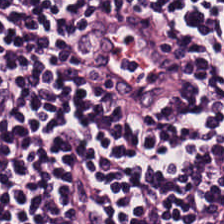H&E stain. Finding — lymphocytic infiltrate.
